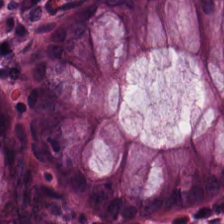WSI patch; 224×224 px tile; hematoxylin and eosin.
Q: What tissue is shown?
A: This is non-neoplastic colon mucosa.
